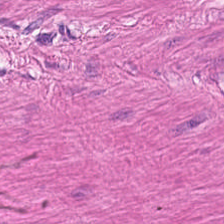0.5 microns per pixel · hematoxylin-and-eosin stained section — Q: Identify the tissue.
A: This is smooth muscle.
